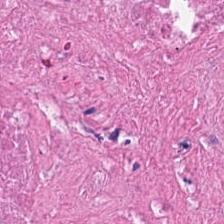20× equivalent magnification. Hematoxylin-and-eosin stained section. 224×224 px tile.
The tissue here is necrotic debris.
